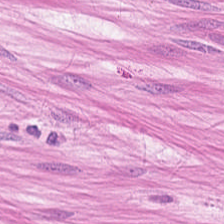H&E — Predominant tissue: smooth-muscle tissue.
